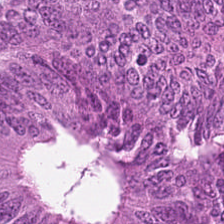Whole-slide-image patch. Hematoxylin-and-eosin stained section.
Tissue class — colorectal adenocarcinoma.
